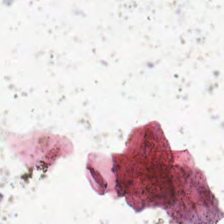224×224 pixel tile. H&E-stained tissue section.
Finding — no tissue.
